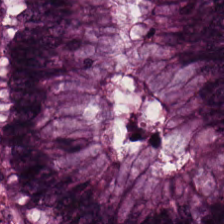224×224 px patch; hematoxylin-and-eosin stained section — {"tissue_type": "benign colonic mucosa"}
